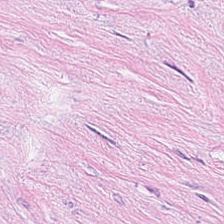H&E stain — The predominant tissue is tumor-associated stroma.
